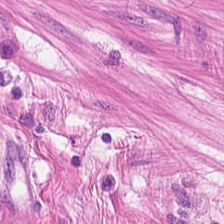H&E-stained tissue section · FFPE tissue section. The tissue is muscularis.
